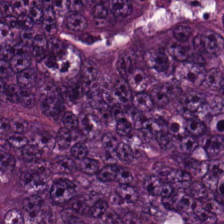Stain: H&E-stained tissue section.
Resolution: 0.5 microns per pixel.
Predominant tissue: colorectal adenocarcinoma.
